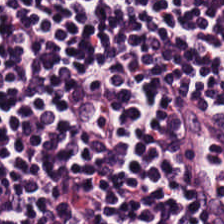H&E-stained tissue section.
Q: What tissue is shown?
A: Lymphocyte aggregate.
